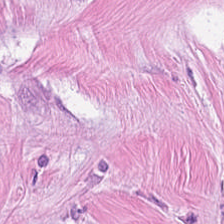FFPE tissue section. H&E stain. 20× equivalent magnification. Q: What is shown here?
A: It is tumor stroma.
